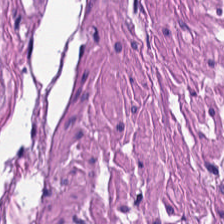Hematoxylin and eosin; formalin-fixed paraffin-embedded section; 0.5 µm/px — This field is smooth-muscle tissue.
